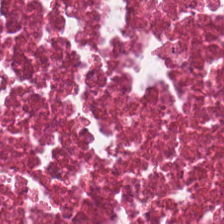Q: What tissue is shown?
A: The field shows necrotic debris.
